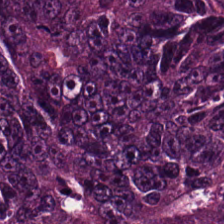Histology → adenocarcinoma.
